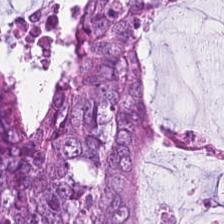224×224 pixel tile. H&E stain — Q: What tissue type is shown here?
A: It is malignant epithelium.
